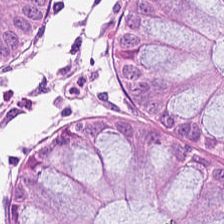Brightfield microscopy; 0.5 µm/px; hematoxylin and eosin.
{"tissue_type": "benign colonic mucosa"}
